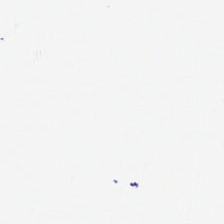Empty field — background.
